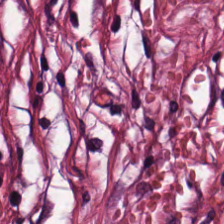Stain: H&E stain.
Predominant tissue: tumor-associated stroma.
